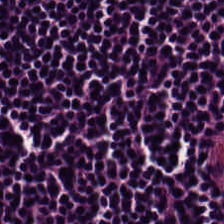0.5 µm/px. Hematoxylin-and-eosin stained section. WSI patch — Q: What is shown in this field?
A: The field shows lymphocyte aggregate.
